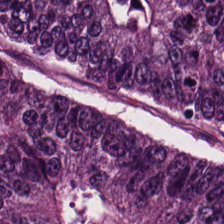Whole-slide-image patch. H&E — Predominantly colorectal adenocarcinoma.
